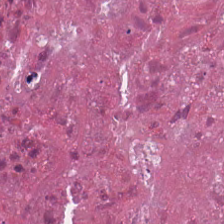FFPE · H&E stain — {"tissue_type": "debris"}
